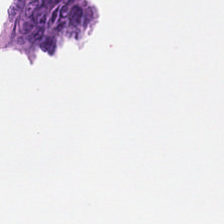FFPE; hematoxylin-and-eosin stained section; 224×224 px tile. Finding → empty background.
